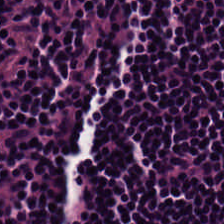Stain: hematoxylin and eosin.
Classification: lymphocyte aggregate.
